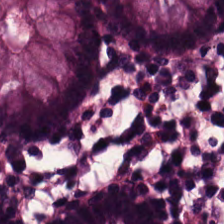Formalin-fixed paraffin-embedded section. Brightfield microscopy. Hematoxylin-and-eosin stained section.
{"tissue_type": "non-neoplastic colon mucosa"}
